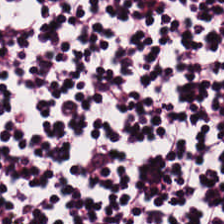FFPE tissue section · hematoxylin and eosin.
Finding → lymphoid infiltrate.
